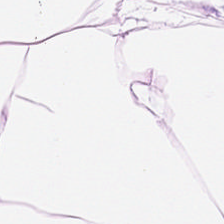Stain: hematoxylin-and-eosin stained section.
Tissue type: adipocytes.
